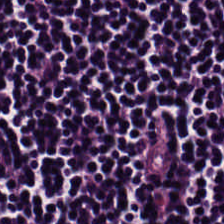Hematoxylin and eosin · whole-slide-image patch. {"tissue_type": "lymphocyte aggregate"}
